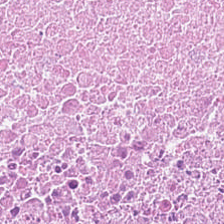H&E-stained tissue section — Predominantly debris.
